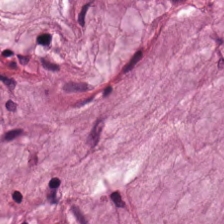H&E stain. 224×224 pixel tile. Histology — mucin.
